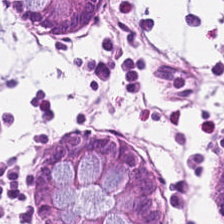H&E · 224×224 px tile. Tissue class = non-neoplastic colon mucosa.
